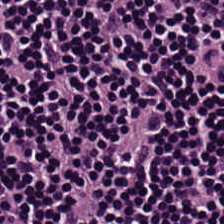H&E-stained tissue section; brightfield — {"tissue_type": "lymphocytes"}
